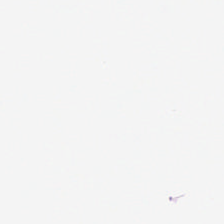H&E — Histology — background (no tissue).
